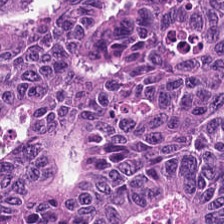Stain: hematoxylin and eosin.
Acquisition: whole-slide-image patch.
Tissue class: adenocarcinoma.
